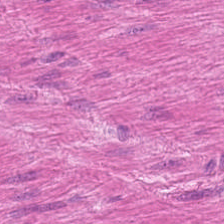224×224 pixel tile. H&E.
Tissue = smooth muscle.
